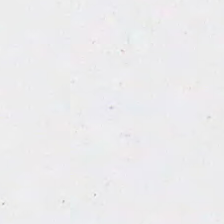No tissue present; background only.
